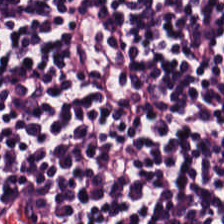Finding — lymphocytic infiltrate.
